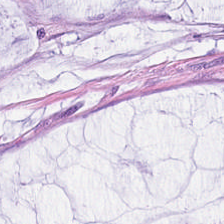20× equivalent magnification · H&E-stained tissue section. Impression → extracellular mucin.
